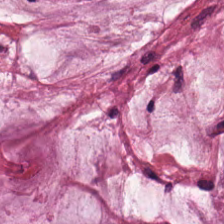H&E stain · 0.5 µm/px. {"tissue_type": "extracellular mucin"}
